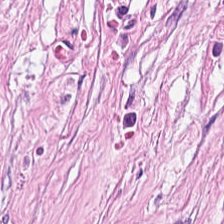Tissue = desmoplastic stroma.
